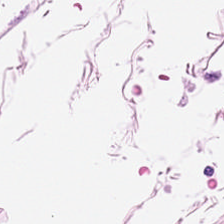Q: What tissue is shown?
A: This is adipose tissue.
